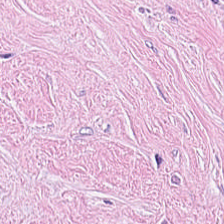Stain: H&E.
Preparation: formalin-fixed paraffin-embedded section.
Resolution: 20× equivalent magnification.
Tissue class: tumor-associated stroma.
